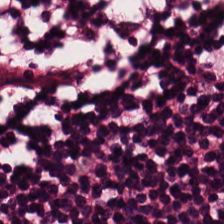Hematoxylin and eosin; FFPE.
The tissue here is lymphocytes.
